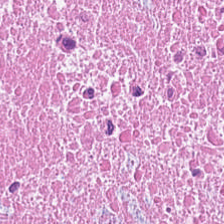The tissue is necrotic debris.
